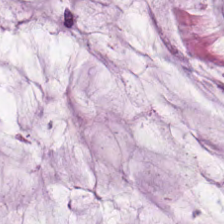Q: What tissue is shown?
A: This is mucin.
